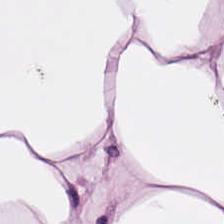Classification — fat tissue.
